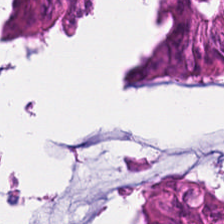224×224 px patch. H&E stain.
The tissue class is colorectal adenocarcinoma.
